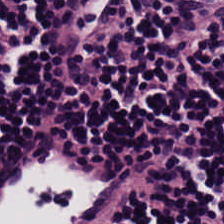Hematoxylin and eosin. Q: Classify this patch.
A: This is lymphoid infiltrate.
